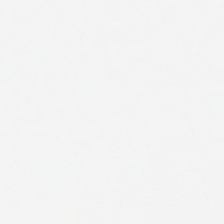0.5 µm/px; hematoxylin-and-eosin stained section; FFPE tissue section — Q: What does this patch show?
A: The field shows empty background.
